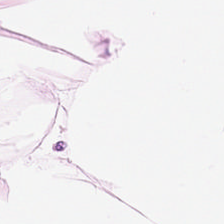The classification is fat tissue.
